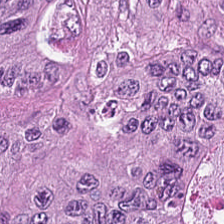Hematoxylin-and-eosin stained section.
Malignant epithelium.
